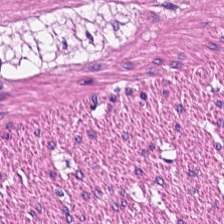H&E stain · 224×224 pixel tile — Predominant tissue: muscularis.
